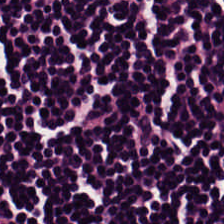Formalin-fixed paraffin-embedded section; hematoxylin-and-eosin stained section; WSI patch — Showing lymphocytic infiltrate.
